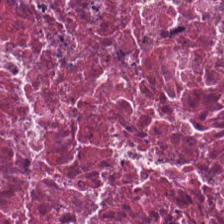Finding — debris.
